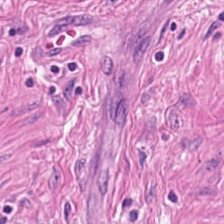Hematoxylin-and-eosin stained section.
Histology — muscularis.
